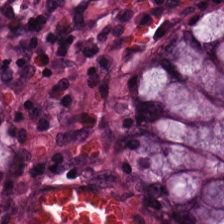H&E. Predominant tissue — non-neoplastic colon mucosa.
